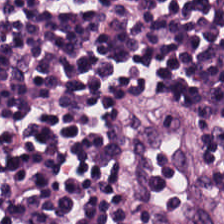0.5 µm per pixel · hematoxylin-and-eosin stained section.
Q: What is the predominant tissue type?
A: The field shows lymphocytes.
